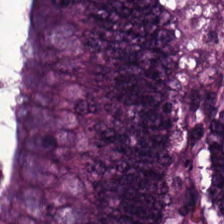Hematoxylin-and-eosin stained section.
Q: What is the predominant tissue type?
A: This is malignant epithelium.
